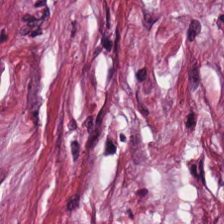0.5 µm per pixel. Hematoxylin-and-eosin stained section — The predominant tissue is desmoplastic stroma.
